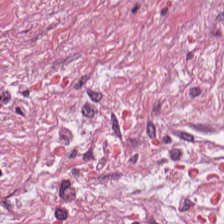Hematoxylin and eosin. The classification is desmoplastic stroma.
